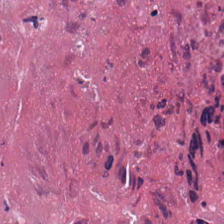Q: What tissue type is shown here?
A: Necrotic debris.
